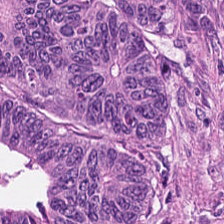Tissue type — colorectal adenocarcinoma epithelium.
